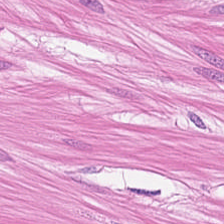H&E stain. Tissue type: smooth-muscle tissue.
